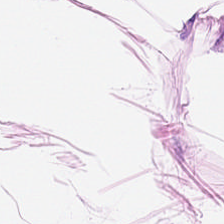H&E-stained tissue section — The tissue is adipocytes.
